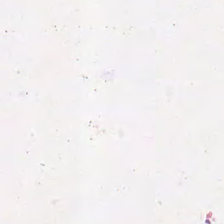Hematoxylin-and-eosin stained section — Classification: cellular debris.
